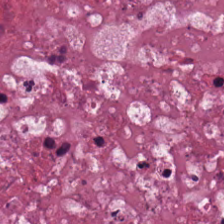Stain: hematoxylin-and-eosin stained section.
Tissue: necrotic debris.
